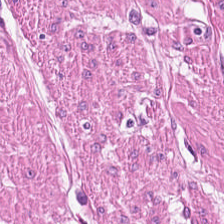Q: What is shown here?
A: This is smooth muscle.
